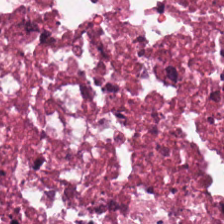Whole-slide-image patch; hematoxylin-and-eosin stained section; 0.5 µm per pixel — Finding — necrotic debris.
